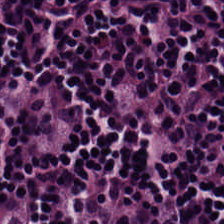WSI patch; H&E stain; 224×224 pixel tile.
Predominantly lymphoid infiltrate.
